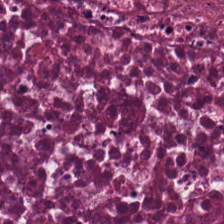H&E. The tissue here is debris.
